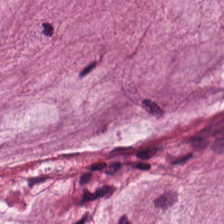WSI patch. H&E stain. Showing mucin.
